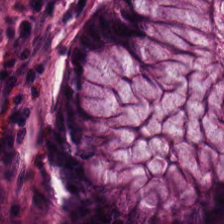Hematoxylin-and-eosin stained section.
Q: What does this patch show?
A: This is normal colonic mucosa.
